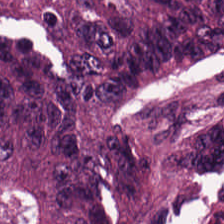Stain: H&E stain.
Tissue type: colorectal adenocarcinoma epithelium.
